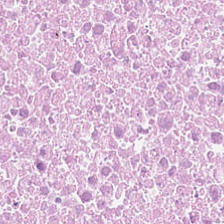Predominantly cellular debris.
